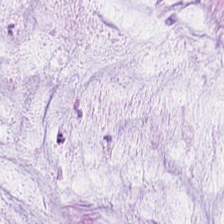H&E stain. Q: What is shown here?
A: This is extracellular mucin.
